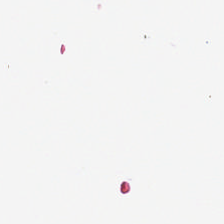Brightfield microscopy · hematoxylin and eosin — No tissue present; background only.
